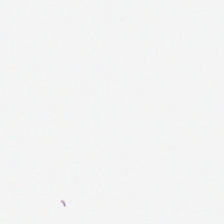Q: Classify this patch.
A: It is background.
